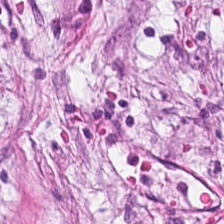Tissue class: tumor stroma.
